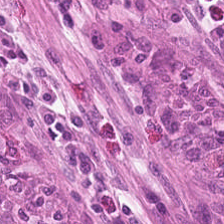Brightfield microscopy. H&E.
Q: What tissue type is shown here?
A: This is benign colonic mucosa.
